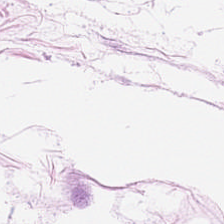H&E-stained tissue section.
The tissue class is adipocytes.
